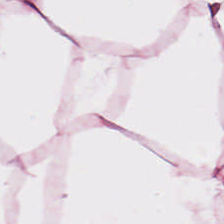FFPE tissue section. Brightfield microscopy. Hematoxylin and eosin — Finding → adipocytes.
